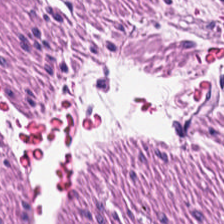H&E-stained tissue section. 0.5 microns per pixel. This patch shows smooth-muscle tissue.
